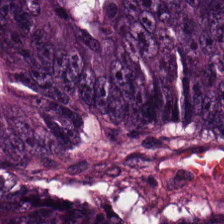0.5 µm/px. Hematoxylin and eosin. 224×224 px tile.
Q: Classify this patch.
A: The field shows colorectal adenocarcinoma.
